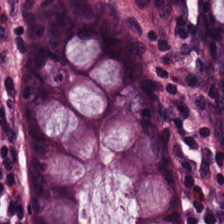H&E. FFPE tissue section. Tissue type = normal colonic mucosa.
